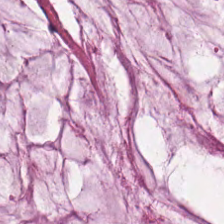Stain: hematoxylin-and-eosin stained section.
Tissue class: mucin.
